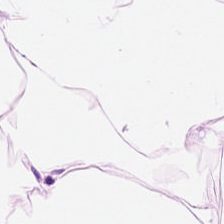Hematoxylin-and-eosin stained section.
Adipose tissue.
